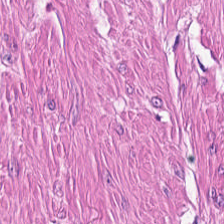Stain: H&E stain.
Acquisition: whole-slide-image patch.
Classification: smooth muscle.
